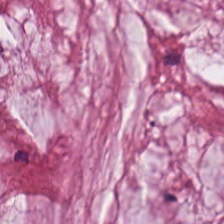Stain: hematoxylin-and-eosin stained section.
Predominant tissue: mucin.
